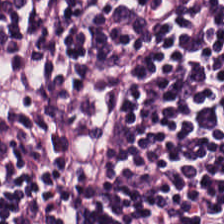H&E stain. Q: What is shown in this field?
A: This is lymphocytes.
